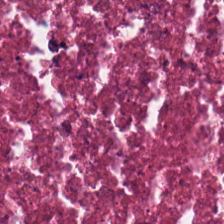H&E-stained tissue section; FFPE tissue section.
The predominant tissue is cellular debris.
